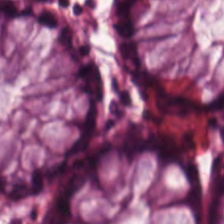Hematoxylin-and-eosin stained section. Predominant tissue = normal colonic mucosa.
